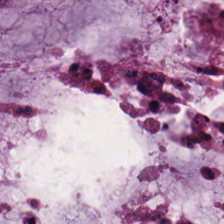H&E. Classification = mucin.
